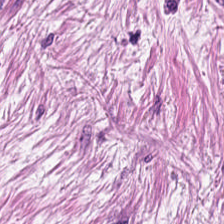FFPE tissue section; hematoxylin-and-eosin stained section. Q: Classify this patch.
A: Tumor-associated stroma.
